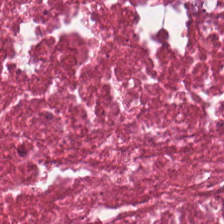0.5 microns per pixel. Hematoxylin and eosin.
Q: What is shown here?
A: The field shows necrotic debris.
